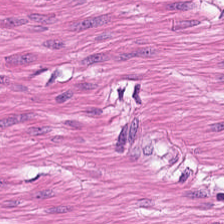Hematoxylin-and-eosin stained section; 224×224 px patch; 0.5 microns per pixel — Showing muscularis.
